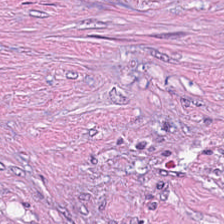Finding — desmoplastic stroma.
